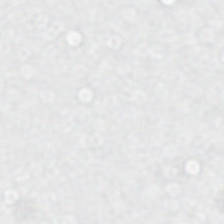FFPE; hematoxylin-and-eosin stained section. Classification = background (no tissue).
